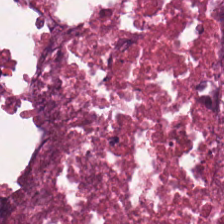WSI patch · H&E stain — This patch shows cellular debris.
